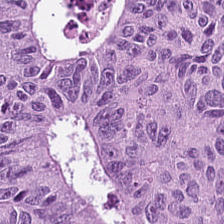Hematoxylin and eosin — Predominant tissue — adenocarcinoma.
